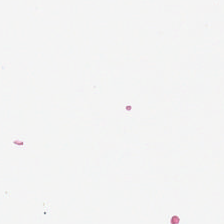H&E — No tissue present; background only.
